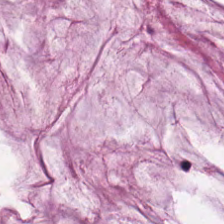Stain: hematoxylin and eosin.
Preparation: formalin-fixed paraffin-embedded section.
Tissue: extracellular mucin.
